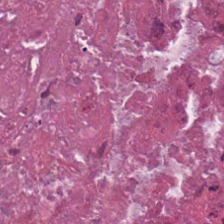H&E stain. This field is cellular debris.
